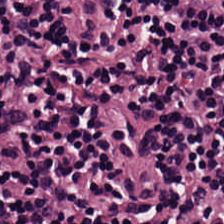H&E stain. This patch shows lymphoid infiltrate.
